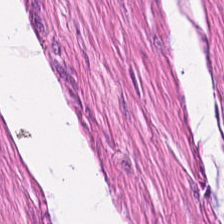H&E · FFPE. {"tissue_type": "muscularis"}
